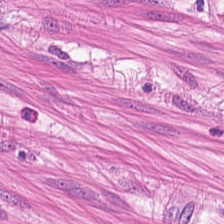H&E. 0.5 microns per pixel — This patch shows smooth-muscle tissue.
